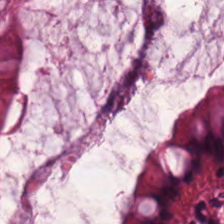H&E stain. Tissue type: normal colonic mucosa.
